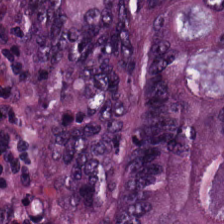Hematoxylin and eosin; FFPE tissue section; 20× equivalent magnification. Q: What is the predominant tissue type?
A: Colorectal adenocarcinoma epithelium.
